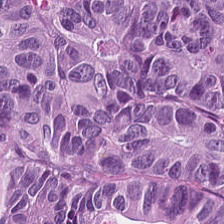Hematoxylin-and-eosin stained section.
Tissue type — colorectal adenocarcinoma.
